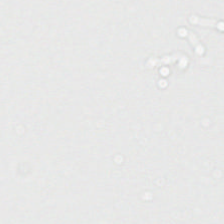Background (no tissue).
